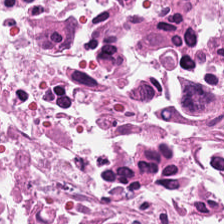Stain: H&E.
Classification: cellular debris.
